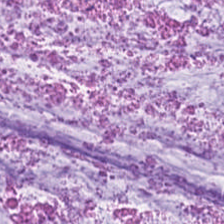Hematoxylin and eosin — This patch shows mucin.
